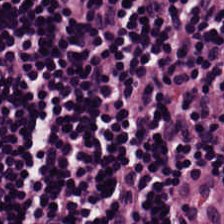The tissue here is lymphoid infiltrate.
